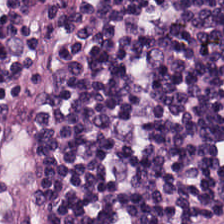H&E-stained tissue section showing lymphocytic infiltrate.
